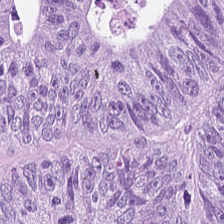H&E — Adenocarcinoma.
